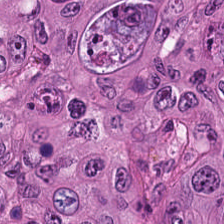H&E-stained section; the field shows adenocarcinoma.
